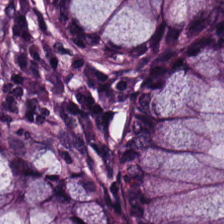H&E-stained tissue section — Tissue class = benign colonic mucosa.
